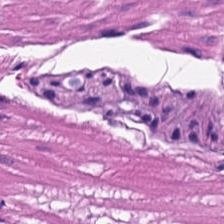224×224 px patch; hematoxylin and eosin; WSI patch — Finding → muscularis.
